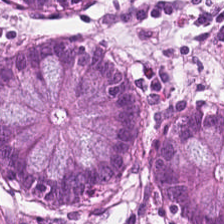Stain: hematoxylin and eosin.
Preparation: FFPE.
Tissue class: benign colonic mucosa.
